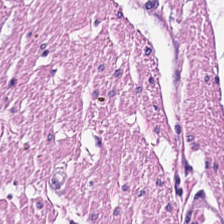H&E-stained tissue section. Tissue class: smooth-muscle tissue.
